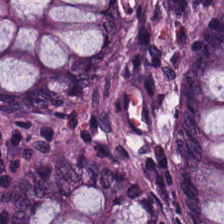Hematoxylin and eosin.
The tissue here is normal colon mucosa.
